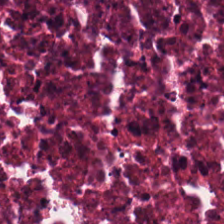224×224 px patch. Brightfield microscopy. Hematoxylin and eosin. {"tissue_type": "necrotic debris"}
